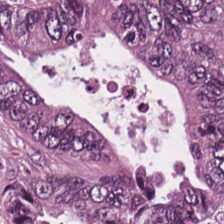Hematoxylin and eosin.
Histology — tumor epithelium.
